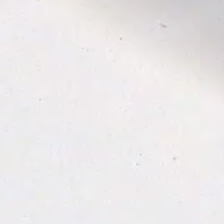Empty field — no tissue.
